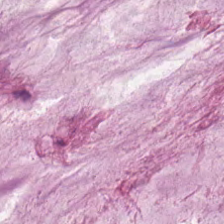H&E stain · 224×224 px patch — Finding → mucin.
